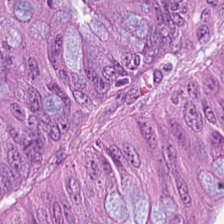Brightfield · H&E stain — This patch shows tumor epithelium.
